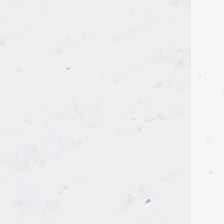224×224 px patch · H&E stain · 0.5 µm per pixel. No tissue present; background only.
